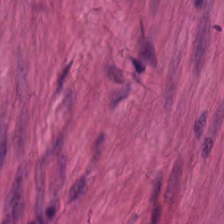H&E. Tissue class — muscularis.
